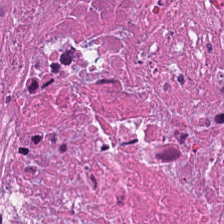H&E stain — Cellular debris.
